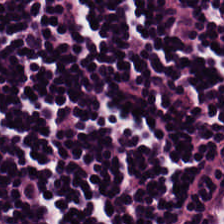Hematoxylin and eosin — Predominantly lymphocytes.
